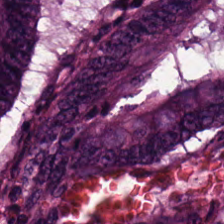H&E-stained tissue section. 224×224 px tile.
This field is malignant epithelium.
